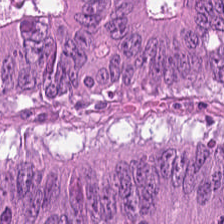Hematoxylin-and-eosin stained section. Whole-slide-image patch. This patch shows colorectal adenocarcinoma epithelium.
